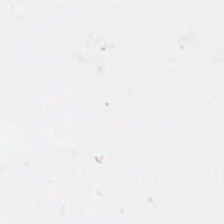Hematoxylin-and-eosin stained section. Q: What is shown here?
A: The field shows no tissue.
